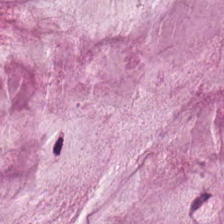H&E-stained tissue section. 224×224 px patch — Impression → extracellular mucin.
